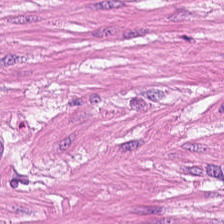WSI patch. Hematoxylin and eosin. This patch shows smooth muscle.
